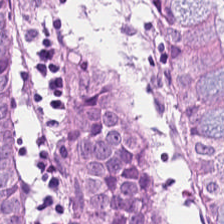Tissue type: normal colonic mucosa.
